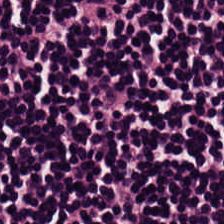Showing lymphocytic infiltrate.
